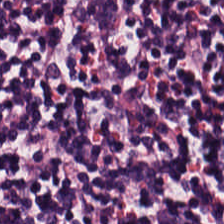Whole-slide-image patch · FFPE · H&E-stained tissue section.
Q: What tissue type is shown here?
A: This is lymphocytes.
